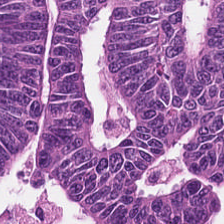Histology → colorectal adenocarcinoma epithelium.
